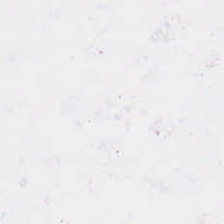20× equivalent magnification; formalin-fixed paraffin-embedded section; hematoxylin and eosin — Content: empty background.
